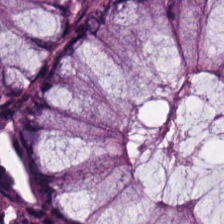Hematoxylin-and-eosin stained section — The tissue here is non-neoplastic colon mucosa.
